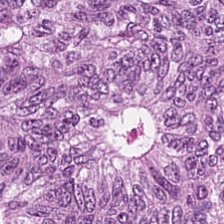H&E-stained tissue section — Malignant epithelium.
